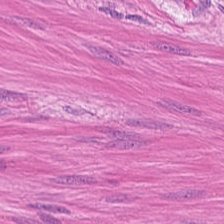Hematoxylin and eosin. Q: Identify the tissue.
A: This is smooth muscle.
